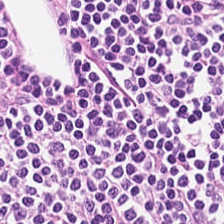H&E-stained tissue section showing lymphocytic infiltrate.
